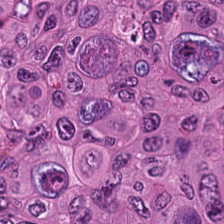H&E-stained tissue section.
Tissue = colorectal adenocarcinoma epithelium.
